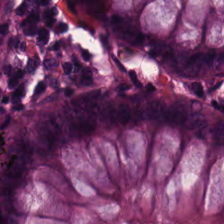20× equivalent magnification; hematoxylin-and-eosin stained section.
This patch shows normal colon mucosa.
